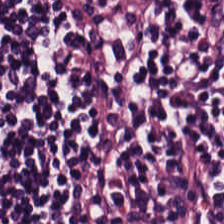H&E stain.
The tissue is lymphocytic infiltrate.
